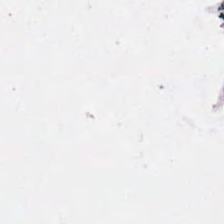H&E-stained tissue section; WSI patch; 0.5 µm per pixel. This field is background (no tissue).
